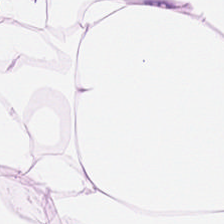WSI patch; FFPE; H&E stain.
The predominant tissue is adipose.
